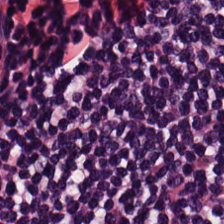Hematoxylin-and-eosin stained section — {"tissue_type": "lymphocytes"}
